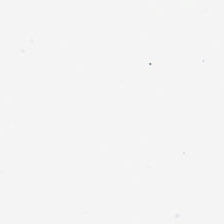H&E stain. Finding → empty background.
